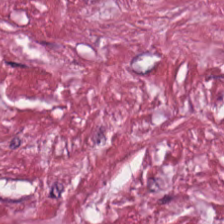WSI patch; 224×224 pixel tile; H&E stain. This field is desmoplastic stroma.
